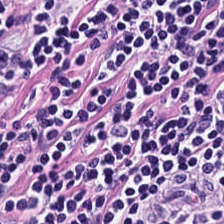Hematoxylin-and-eosin stained section.
The predominant tissue is lymphocytes.
